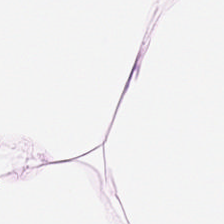H&E. 224×224 pixel tile. Formalin-fixed paraffin-embedded section.
{"tissue_type": "adipose"}
